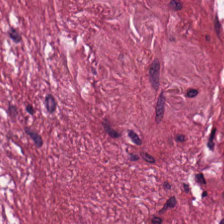Q: What tissue type is shown here?
A: Tumor-associated stroma.
